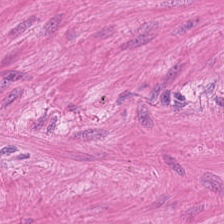H&E. Tissue = muscularis.
